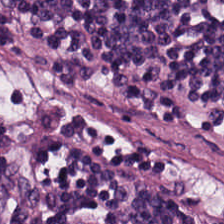Hematoxylin-and-eosin stained section — The tissue is lymphocytic infiltrate.
